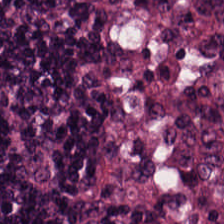224×224 pixel tile; H&E-stained tissue section. The predominant tissue is lymphocytes.
